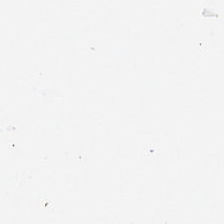Formalin-fixed paraffin-embedded section. Hematoxylin-and-eosin stained section. 224×224 pixel tile. Classification: empty background.
